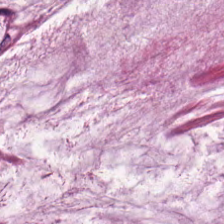224×224 px patch. Hematoxylin and eosin. 20× equivalent magnification.
This patch shows extracellular mucin.
